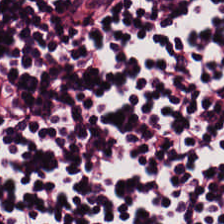Impression → lymphoid infiltrate.
